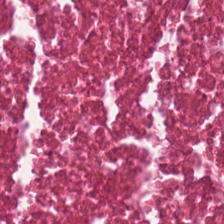H&E. This field is debris.
